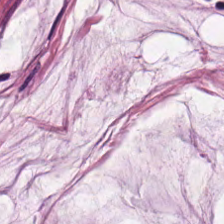The classification is extracellular mucin.
